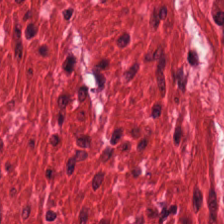Hematoxylin-and-eosin stained section · 0.5 µm/px — Tissue class — muscularis.
